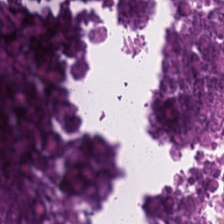Q: What is shown in this field?
A: Debris.
